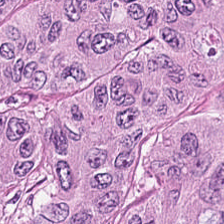Hematoxylin and eosin. 224×224 px tile. FFPE tissue section. Predominantly adenocarcinoma.
